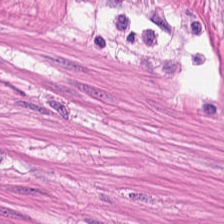Hematoxylin-and-eosin stained section.
The tissue here is muscularis.
